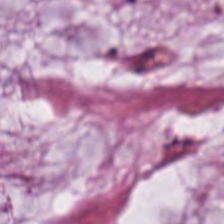Hematoxylin-and-eosin stained section.
Histology → mucin.
